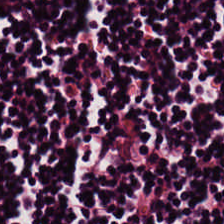H&E — Predominant tissue: lymphocytic infiltrate.
